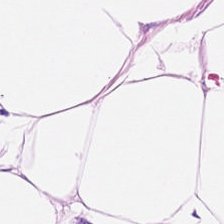Stain: H&E.
Tissue type: adipose.
